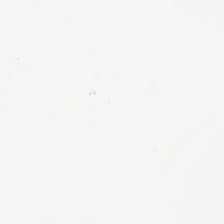H&E — Histology — background.
